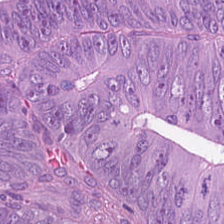Q: What is shown here?
A: Colorectal adenocarcinoma epithelium.
